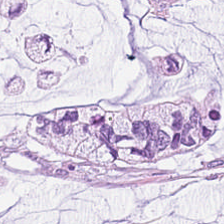H&E.
The tissue here is mucus.
